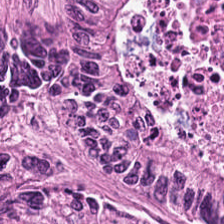H&E stain.
{"tissue_type": "malignant epithelium"}
